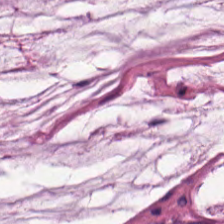Brightfield microscopy. 224×224 px tile. Hematoxylin and eosin.
Predominant tissue: mucus.
